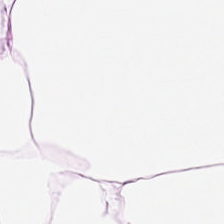WSI patch; H&E-stained tissue section — Q: What is shown in this field?
A: Adipose tissue.
